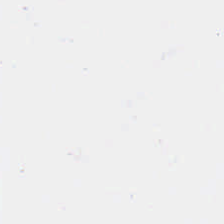No tissue.
